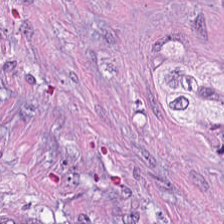Stain: hematoxylin-and-eosin stained section.
Classification: desmoplastic stroma.
